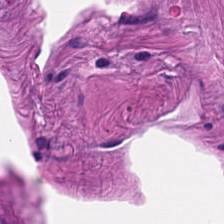0.5 µm/px · hematoxylin-and-eosin stained section.
Q: What is shown in this field?
A: It is smooth muscle.
